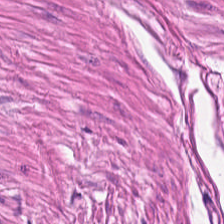H&E. FFPE tissue section. Q: What is shown in this field?
A: It is muscularis.
